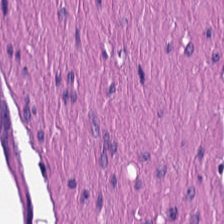Brightfield. H&E-stained tissue section. Formalin-fixed paraffin-embedded section. Tissue type = muscularis.
